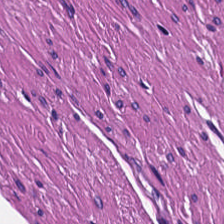0.5 µm per pixel. Brightfield. H&E.
Predominantly muscularis.
